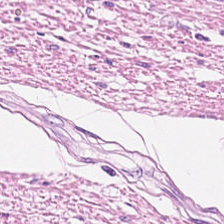H&E-stained section; the field shows smooth muscle.
